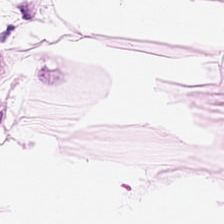Hematoxylin-and-eosin stained section.
Adipose.
